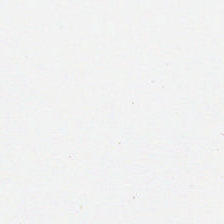Brightfield · hematoxylin-and-eosin stained section. Classification — background (no tissue).
